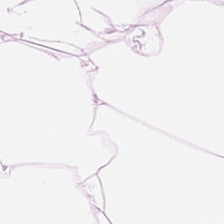Hematoxylin and eosin.
Histology → adipose tissue.
